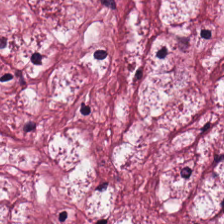H&E.
Tumor stroma.
